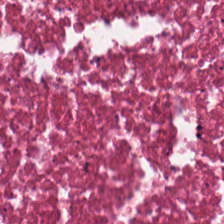H&E · FFPE. Finding → debris.
